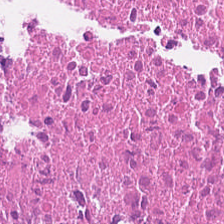FFPE. H&E — Q: What is shown here?
A: It is cellular debris.
